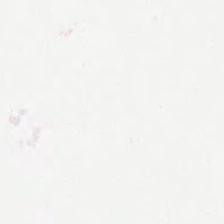H&E stain.
No tissue.
